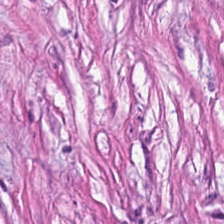Hematoxylin-and-eosin stained section. Histology → cancer-associated stroma.
